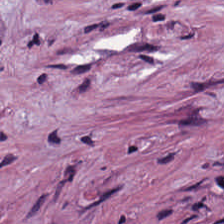224×224 pixel tile; H&E stain — The tissue here is tumor-associated stroma.
